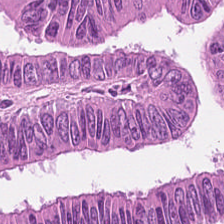Classification — colorectal adenocarcinoma epithelium.
